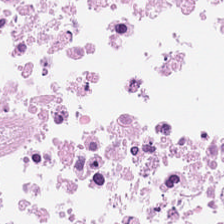Hematoxylin-and-eosin stained section; FFPE tissue section; 0.5 microns per pixel — Classification — necrotic debris.
